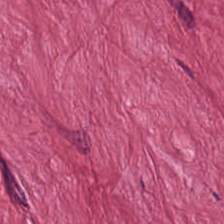0.5 µm/px · hematoxylin-and-eosin stained section · brightfield. Q: What is shown here?
A: Cancer-associated stroma.
